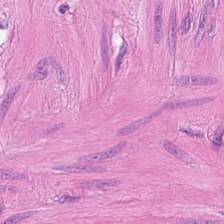0.5 microns per pixel; WSI patch; hematoxylin and eosin.
Predominantly smooth-muscle tissue.
